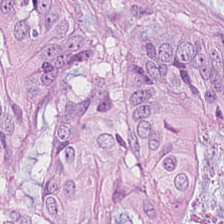Hematoxylin-and-eosin stained section · FFPE tissue section.
The tissue is adenocarcinoma.
